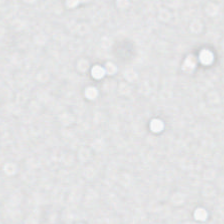Hematoxylin and eosin · formalin-fixed paraffin-embedded section · 0.5 µm per pixel — Finding → background.
